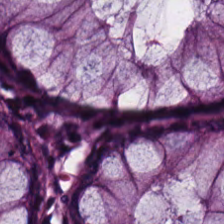H&E stain.
Predominant tissue = normal colon mucosa.
